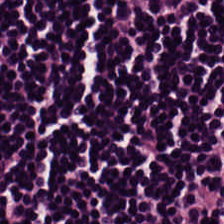Hematoxylin and eosin — The predominant tissue is lymphocyte aggregate.
